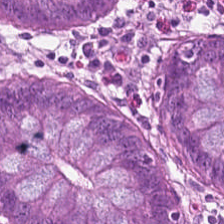H&E. FFPE tissue section. Finding → benign colonic mucosa.
